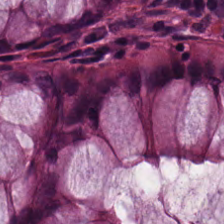Formalin-fixed paraffin-embedded section · hematoxylin-and-eosin stained section — Q: What is the predominant tissue type?
A: This is normal colon mucosa.
